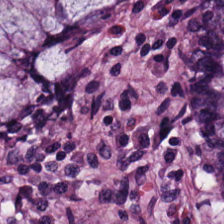This patch shows normal colonic mucosa.
